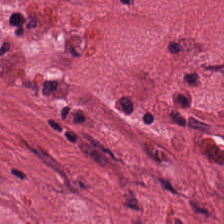H&E stain. The tissue here is tumor stroma.
